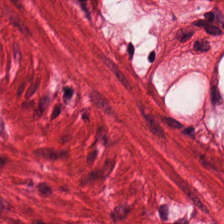Hematoxylin and eosin · formalin-fixed paraffin-embedded section. Q: What is shown here?
A: It is smooth-muscle tissue.
